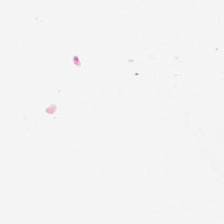0.5 microns per pixel. 224×224 px patch. H&E stain — Field content — empty background.
